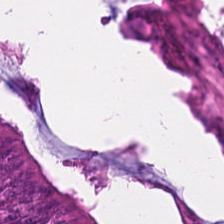H&E stain — Q: Identify the tissue.
A: It is tumor epithelium.
